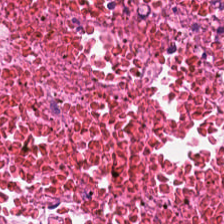Stain: H&E.
Tissue type: cellular debris.
